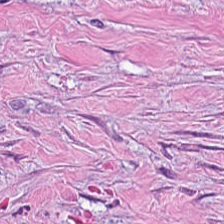Stain: hematoxylin and eosin.
Tissue type: tumor-associated stroma.
